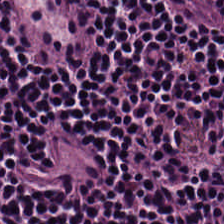FFPE tissue section · hematoxylin-and-eosin stained section.
The predominant tissue is lymphocytes.
